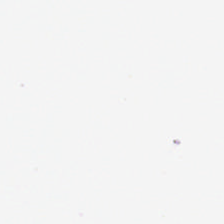FFPE tissue section. Brightfield. H&E-stained tissue section — Histology — empty background.
